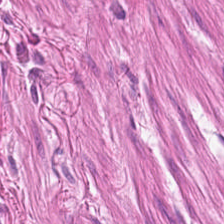Hematoxylin and eosin. The tissue here is muscularis.
